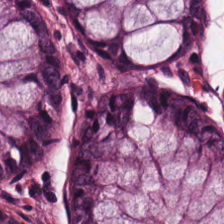Stain: H&E stain.
Tissue type: benign colonic mucosa.
